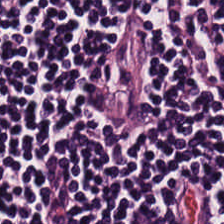Lymphocytes.
